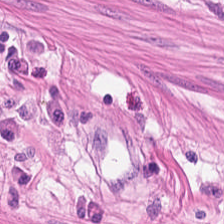FFPE; 0.5 µm per pixel; H&E-stained tissue section — Finding → smooth-muscle tissue.
